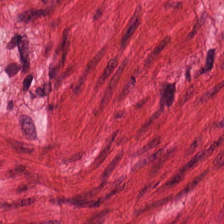FFPE tissue section; hematoxylin-and-eosin stained section — Impression → muscularis.
